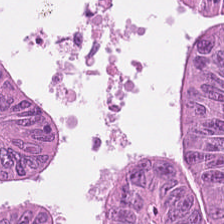H&E stain. This patch shows malignant epithelium.
